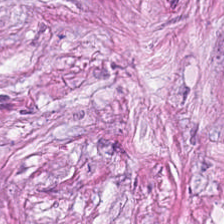Hematoxylin and eosin — Q: What does this patch show?
A: This is tumor-associated stroma.
